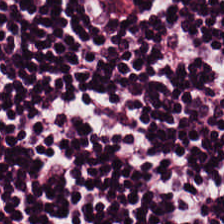Brightfield microscopy. Hematoxylin-and-eosin stained section. Formalin-fixed paraffin-embedded section — Predominantly lymphocyte aggregate.
